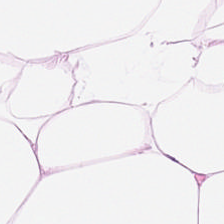H&E.
Tissue type = adipose.
